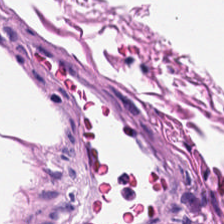224×224 px patch; H&E stain — The classification is smooth muscle.
